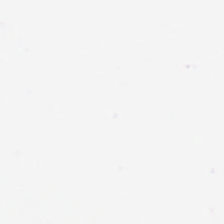Background (no tissue).
